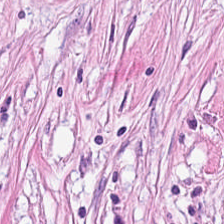Q: What tissue type is shown here?
A: This is tumor stroma.
